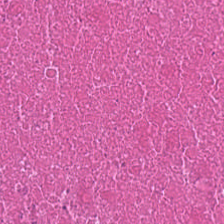H&E-stained tissue section showing necrotic debris.
